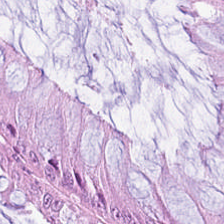WSI patch; H&E stain; 0.5 microns per pixel — The predominant tissue is normal colonic mucosa.
